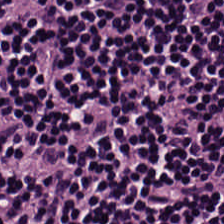Stain: H&E-stained tissue section.
Acquisition: WSI patch.
Tissue type: lymphoid infiltrate.
